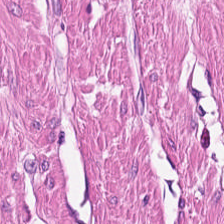{"tissue_type": "muscularis"}
